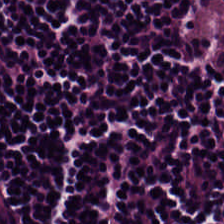Hematoxylin-and-eosin stained section.
Impression → lymphocyte aggregate.
